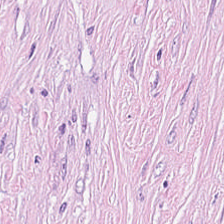Brightfield. Hematoxylin and eosin.
Predominant tissue — tumor stroma.
